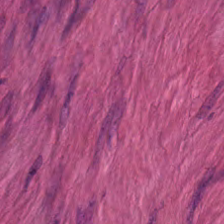Finding → smooth-muscle tissue.
